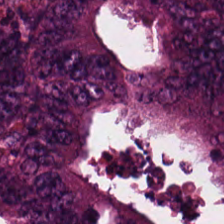20× equivalent magnification; hematoxylin-and-eosin stained section.
Impression — colorectal adenocarcinoma.
